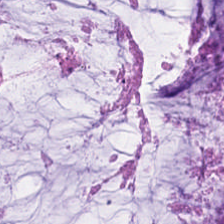224×224 px patch; H&E-stained tissue section.
Histology → mucin.
